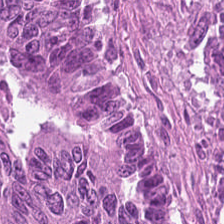224×224 pixel tile. FFPE tissue section. H&E.
Tissue type = colorectal adenocarcinoma.
